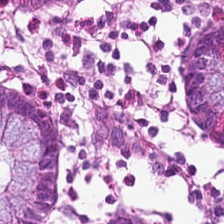Brightfield microscopy. 224×224 px patch. H&E stain.
Tissue: normal colonic mucosa.
